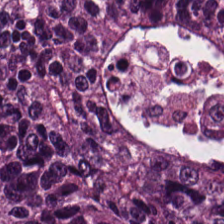The tissue class is colorectal adenocarcinoma.
